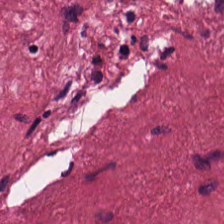Hematoxylin-and-eosin stained section. This patch shows tumor-associated stroma.
